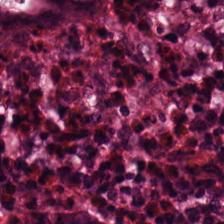Stain: hematoxylin and eosin.
Predominant tissue: benign colonic mucosa.
